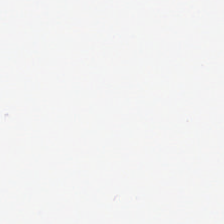Hematoxylin-and-eosin stained section.
This field is background (no tissue).
